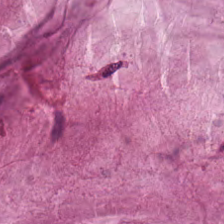Tissue = mucus.
